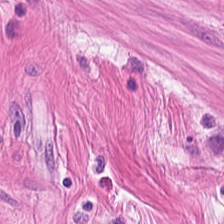H&E-stained section; the field shows smooth-muscle tissue.
